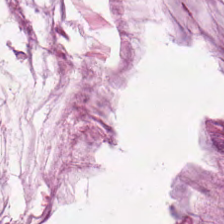H&E stain.
The predominant tissue is mucin.
